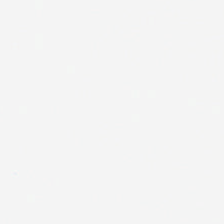H&E-stained tissue section.
Empty field — background (no tissue).
